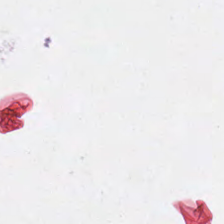Stain: hematoxylin-and-eosin stained section.
Field content: background.
